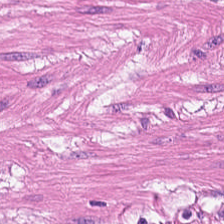Hematoxylin-and-eosin stained section. The predominant tissue is muscularis.
